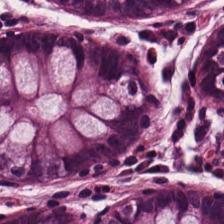Q: What is shown here?
A: The field shows normal colon mucosa.
